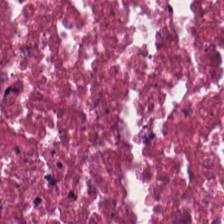H&E stain. 224×224 px patch. Q: What type of tissue is this?
A: The field shows cellular debris.
